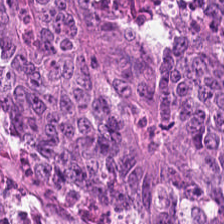Tissue type: colorectal adenocarcinoma epithelium.
